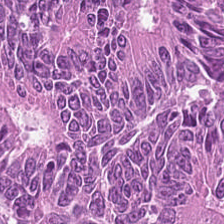Hematoxylin and eosin.
Showing tumor epithelium.
